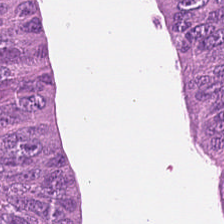FFPE tissue section · hematoxylin-and-eosin stained section.
{"tissue_type": "colorectal adenocarcinoma"}
